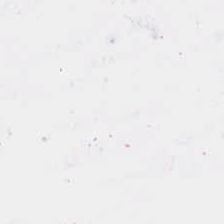Hematoxylin and eosin — Q: What is shown here?
A: It is background (no tissue).
